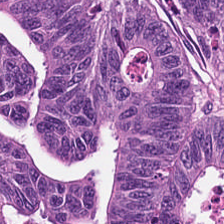H&E stain.
Tissue class — malignant epithelium.
